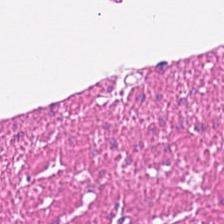20× equivalent magnification. Hematoxylin-and-eosin stained section — Tissue type = smooth-muscle tissue.
